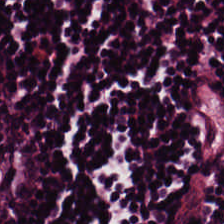H&E · 0.5 microns per pixel.
Tissue type = lymphocytic infiltrate.
